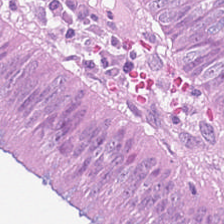Stain: H&E stain.
Tissue class: colorectal adenocarcinoma epithelium.
